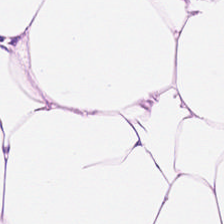Stain: H&E-stained tissue section.
Resolution: 0.5 µm per pixel.
Tile size: 224×224 px tile.
Tissue: adipose.
